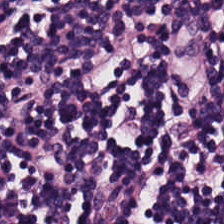Lymphocytic infiltrate.
